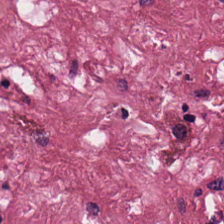Formalin-fixed paraffin-embedded section; H&E; 224×224 pixel tile.
Q: What is shown here?
A: The field shows desmoplastic stroma.
